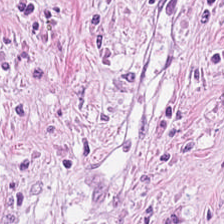224×224 px tile · H&E — This patch shows cancer-associated stroma.
